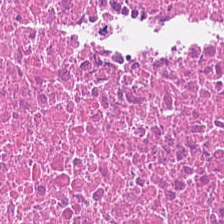Stain: H&E-stained tissue section.
Classification: debris.
